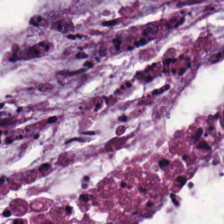H&E.
Mucin.
